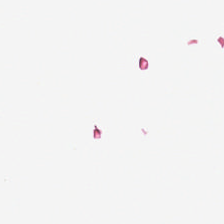H&E-stained tissue section. Formalin-fixed paraffin-embedded section.
Classification — empty background.
